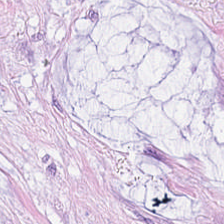Tissue — mucus.
